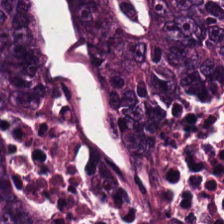H&E stain — Predominant tissue = malignant epithelium.
